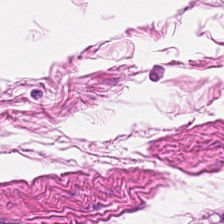Whole-slide-image patch · H&E. Q: What is shown here?
A: The field shows muscularis.
